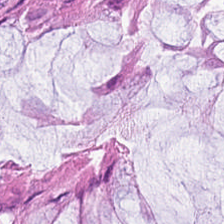H&E-stained tissue section — Classification = benign colonic mucosa.
